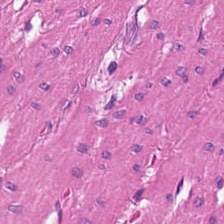The classification is smooth-muscle tissue.
